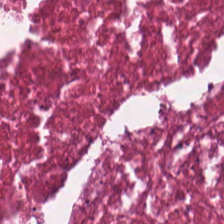H&E stain.
Finding → debris.
